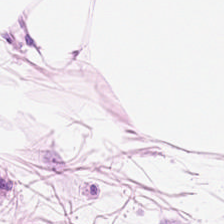224×224 pixel tile · H&E stain. Tissue class: adipose.
